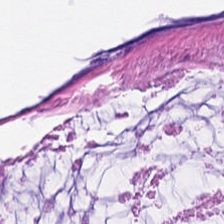FFPE tissue section; brightfield microscopy; hematoxylin and eosin — Q: What tissue type is shown here?
A: The field shows extracellular mucin.
